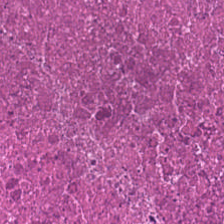H&E stain. Q: Classify this patch.
A: The field shows debris.
